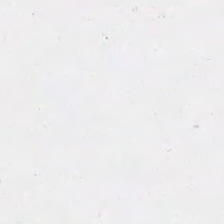Formalin-fixed paraffin-embedded section. Hematoxylin-and-eosin stained section — The classification is background.
